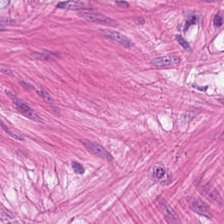Brightfield microscopy. H&E stain. The predominant tissue is smooth muscle.
